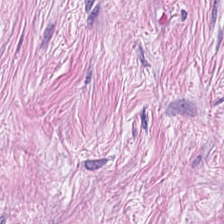H&E stain. Tissue type = tumor-associated stroma.
